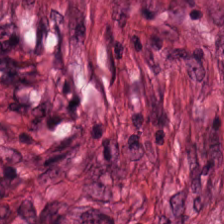Impression → desmoplastic stroma.
